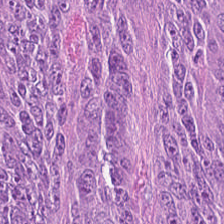Predominant tissue — colorectal adenocarcinoma.
